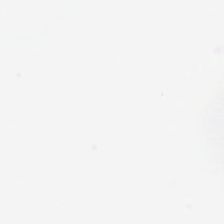This field is background (no tissue).
